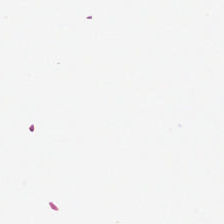Background.
